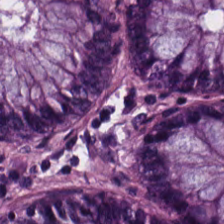Finding → normal colonic mucosa.
